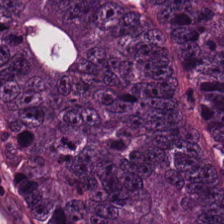Hematoxylin-and-eosin stained section; 0.5 µm per pixel; 224×224 px patch — {"tissue_type": "malignant epithelium"}
